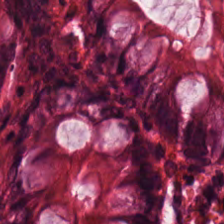H&E-stained tissue section; 224×224 pixel tile. The tissue here is non-neoplastic colon mucosa.
